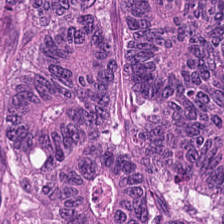Hematoxylin and eosin.
Tissue type: colorectal adenocarcinoma epithelium.
